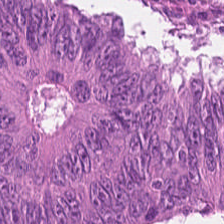H&E-stained tissue section. The predominant tissue is adenocarcinoma.
